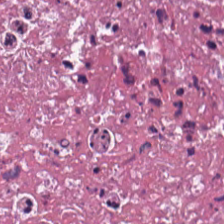Hematoxylin-and-eosin stained section; 20× equivalent magnification.
Classification: debris.
